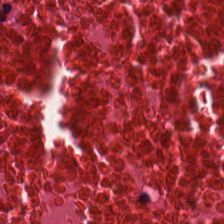Stain: H&E-stained tissue section.
Tissue: cellular debris.
